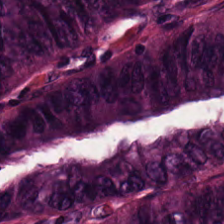H&E-stained tissue section. Whole-slide-image patch — The predominant tissue is colorectal adenocarcinoma.
